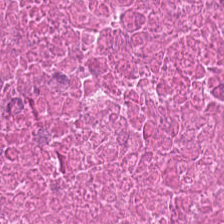Q: What type of tissue is this?
A: Necrotic debris.
